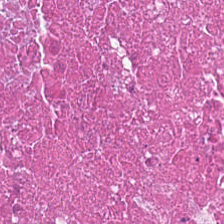Hematoxylin and eosin. Tissue — cellular debris.
